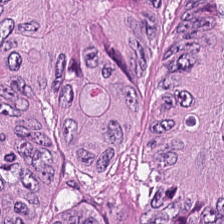Brightfield microscopy. Hematoxylin and eosin. Predominant tissue: adenocarcinoma.
